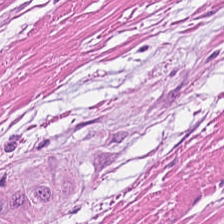H&E.
{"tissue_type": "smooth-muscle tissue"}
